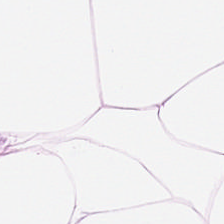H&E — Q: Identify the tissue.
A: It is adipocytes.
